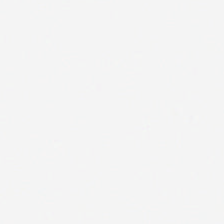Hematoxylin-and-eosin stained section — Classification — no tissue.
